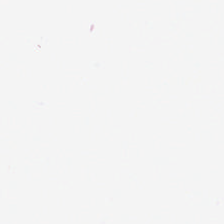Background — no tissue in this field.
